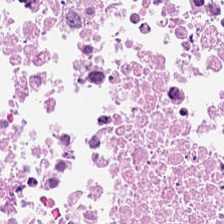H&E-stained tissue section. Brightfield. FFPE tissue section.
Finding — debris.
